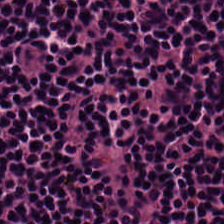{"tissue_type": "lymphocytes"}
